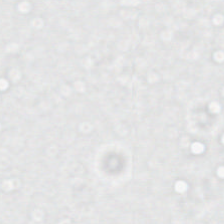H&E-stained tissue section. FFPE tissue section. Brightfield microscopy — {"content": "background (no tissue)"}
